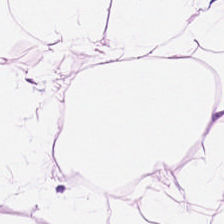H&E-stained tissue section.
Tissue class = adipose.
